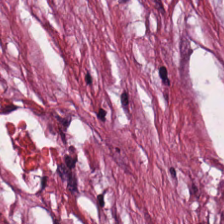Tissue = desmoplastic stroma.
